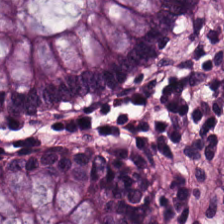H&E-stained tissue section — Benign colonic mucosa.
